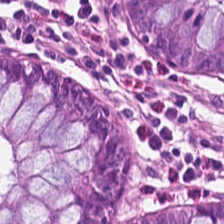H&E — non-neoplastic colon mucosa.
